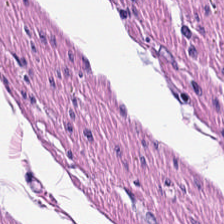H&E. 224×224 px patch. Showing smooth-muscle tissue.
